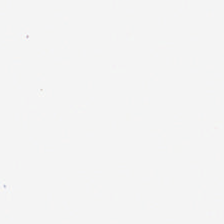H&E-stained tissue section. Classification: empty background.
